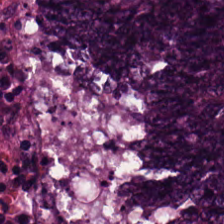The tissue is colorectal adenocarcinoma epithelium.
